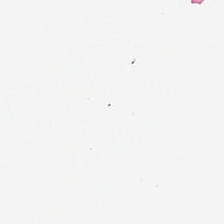Classification: empty background.
